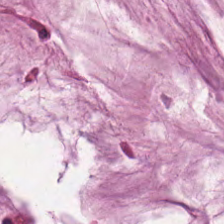Formalin-fixed paraffin-embedded section. H&E. Brightfield microscopy — Q: What does this patch show?
A: This is mucin.
